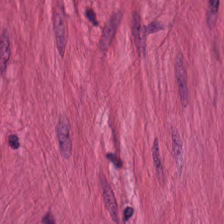Hematoxylin and eosin; FFPE tissue section — Histology — muscularis.
